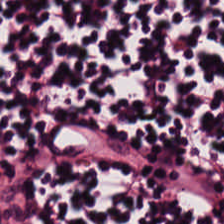Stain: hematoxylin-and-eosin stained section.
Predominant tissue: lymphocytes.
